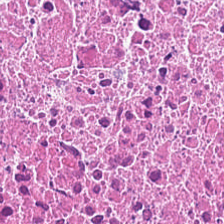Hematoxylin and eosin. Brightfield. Showing necrotic debris.
